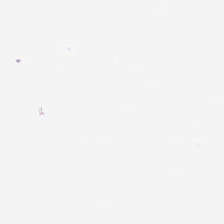Hematoxylin and eosin; FFPE — Q: Classify this patch.
A: This is no tissue.
